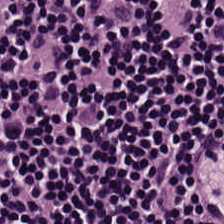H&E-stained tissue section — Q: What is shown in this field?
A: Lymphoid infiltrate.
